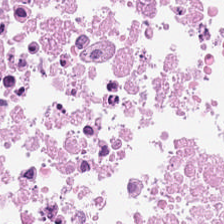H&E.
Q: What tissue type is shown here?
A: The field shows necrotic debris.
